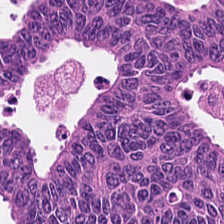H&E-stained tissue section.
Q: What is shown in this field?
A: Tumor epithelium.
